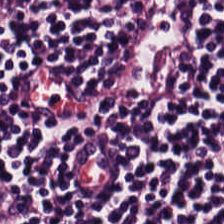Hematoxylin and eosin.
Q: What type of tissue is this?
A: Lymphocyte aggregate.
